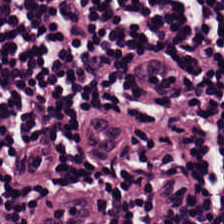H&E stain. 0.5 µm/px — Q: What is shown in this field?
A: This is lymphoid infiltrate.
